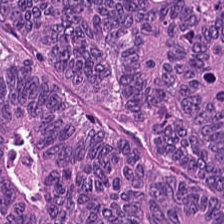Stain: hematoxylin and eosin.
Preparation: FFPE.
Tissue: colorectal adenocarcinoma epithelium.
